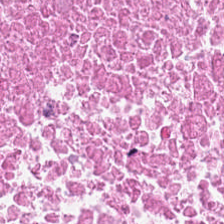Brightfield microscopy · hematoxylin-and-eosin stained section · 224×224 px tile.
Q: What is shown here?
A: Necrotic debris.
